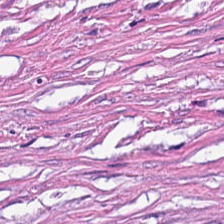Stain: hematoxylin and eosin.
Predominant tissue: desmoplastic stroma.
